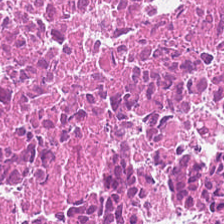H&E-stained tissue section — Classification: debris.
